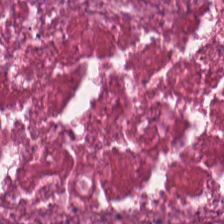H&E-stained tissue section. Q: What is shown in this field?
A: This is cellular debris.
